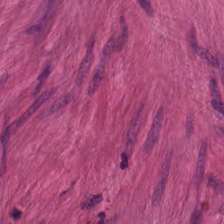H&E stain.
Finding — smooth muscle.
